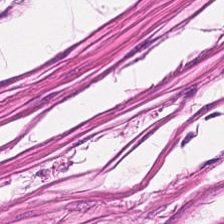Hematoxylin and eosin.
This field is smooth-muscle tissue.
